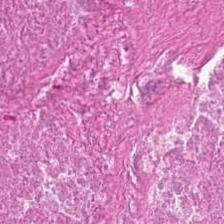Tissue type — necrotic debris.
